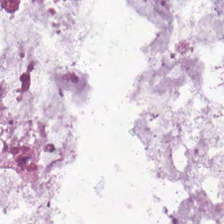H&E-stained tissue section. 0.5 microns per pixel. Finding — mucus.
